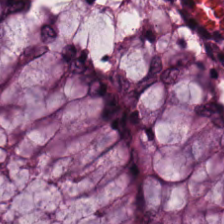{"tissue_type": "non-neoplastic colon mucosa"}
